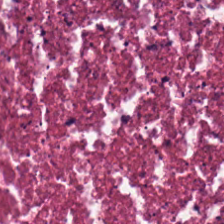H&E patch showing necrotic debris.
